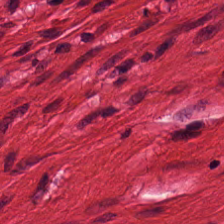H&E stain. Smooth-muscle tissue.
